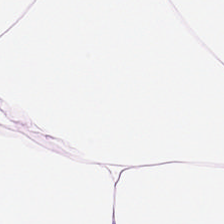H&E-stained tissue section · FFPE tissue section — Tissue class: adipose.
